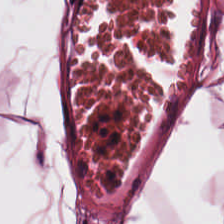Tissue class = adipose tissue.
